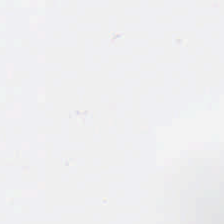Stain: H&E stain.
Tile size: 224×224 pixel tile.
Resolution: 0.5 microns per pixel.
Field content: no tissue.
